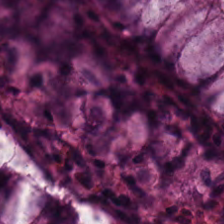H&E-stained tissue section; whole-slide-image patch; FFPE — The tissue here is normal colonic mucosa.
